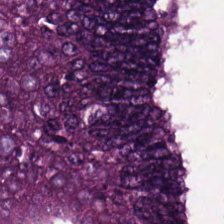H&E stain; brightfield; 0.5 µm/px.
Predominantly malignant epithelium.
